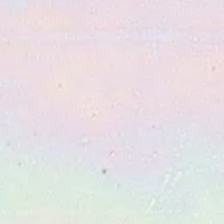Stain: H&E.
Tile size: 224×224 px patch.
Field content: empty background.
